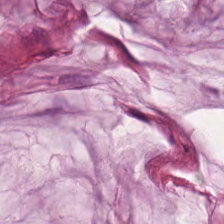Hematoxylin and eosin — Tissue type: extracellular mucin.
